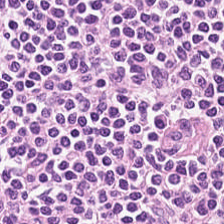0.5 µm per pixel. H&E.
This patch shows lymphocytes.
